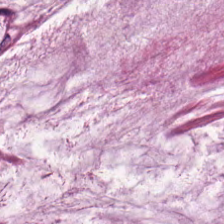Mucus.
